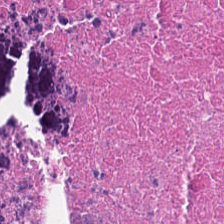Hematoxylin-and-eosin stained section — Predominant tissue = debris.
